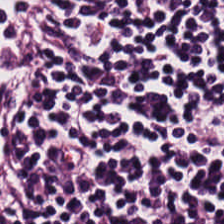Predominant tissue — lymphocyte aggregate.
